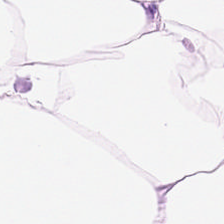Hematoxylin and eosin. 224×224 px patch — Fat tissue.
